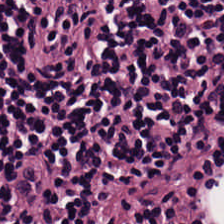Stain: H&E-stained tissue section.
Acquisition: brightfield.
Preparation: FFPE.
Classification: lymphocytes.
